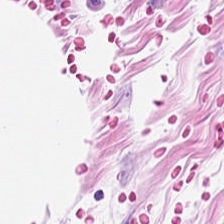H&E. 0.5 µm per pixel — Q: What is shown here?
A: This is adipose tissue.
